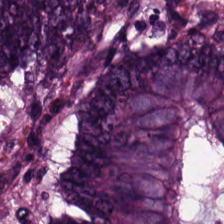Q: What is shown in this field?
A: It is adenocarcinoma.
